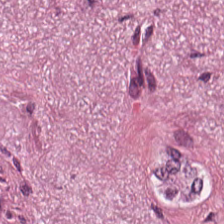Hematoxylin and eosin; 20× equivalent magnification — Classification — desmoplastic stroma.
